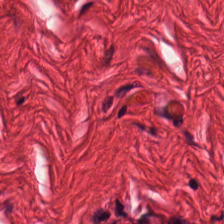Q: What does this patch show?
A: This is smooth-muscle tissue.
